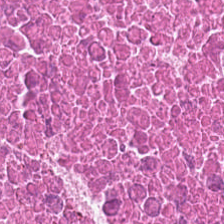Q: What is shown here?
A: It is necrotic debris.
